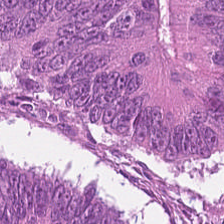Hematoxylin-and-eosin stained section. This patch shows adenocarcinoma.
